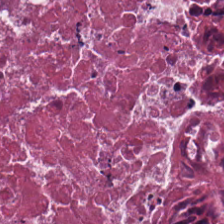This field is cellular debris.
